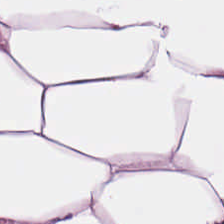Stain: hematoxylin-and-eosin stained section.
Classification: adipocytes.
